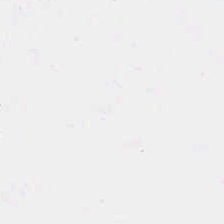Stain: H&E-stained tissue section.
Content: background.
